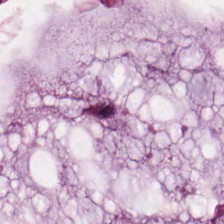H&E-stained tissue section · whole-slide-image patch.
Tissue: mucin.
